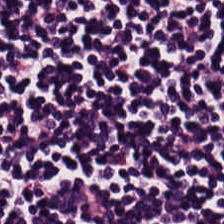Stain: H&E stain.
Tissue class: lymphocytes.
